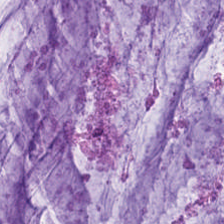H&E-stained tissue section. Predominantly mucus.
